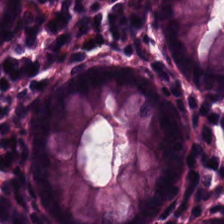0.5 µm per pixel; H&E-stained tissue section.
Impression — normal colonic mucosa.
